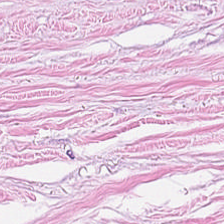20× equivalent magnification · hematoxylin-and-eosin stained section · whole-slide-image patch.
Tissue type = tumor-associated stroma.
